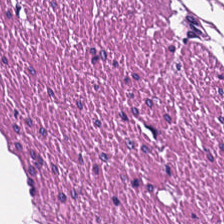H&E stain. Q: What does this patch show?
A: It is muscularis.
